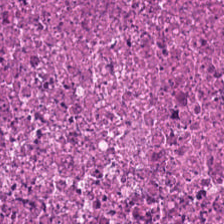Q: Identify the tissue.
A: The field shows necrotic debris.
